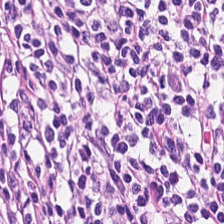Stain: H&E-stained tissue section.
Tile size: 224×224 pixel tile.
Tissue type: lymphoid infiltrate.
